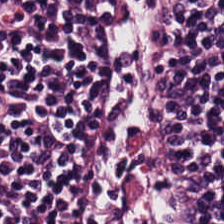Hematoxylin and eosin — Histology → lymphoid infiltrate.
